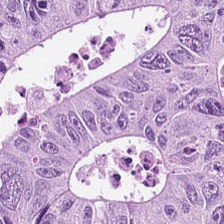0.5 µm per pixel. Hematoxylin-and-eosin stained section. Q: Identify the tissue.
A: It is adenocarcinoma.
